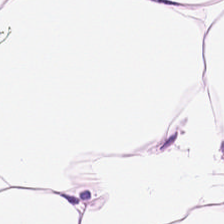Hematoxylin-and-eosin section: adipose tissue.
